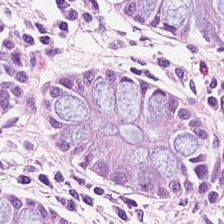Hematoxylin-and-eosin stained section — Predominantly normal colonic mucosa.
